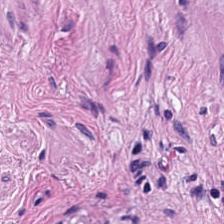Stain: H&E-stained tissue section.
Tissue: smooth muscle.
